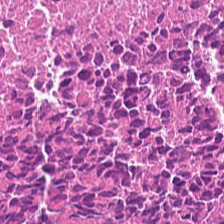This patch shows debris.
